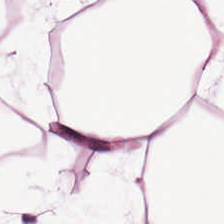H&E-stained tissue section; whole-slide-image patch. {"tissue_type": "fat tissue"}
